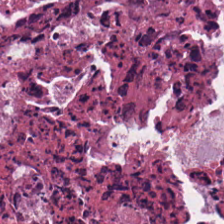H&E stain — {"tissue_type": "debris"}
